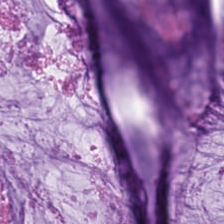The classification is mucin.
